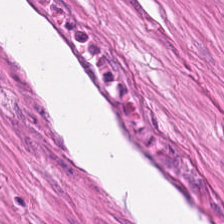H&E stain · 224×224 px tile · FFPE.
Impression — smooth muscle.
